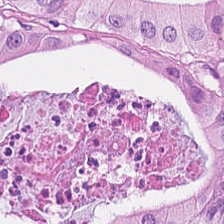0.5 µm per pixel · WSI patch · H&E stain. Impression → colorectal adenocarcinoma epithelium.
